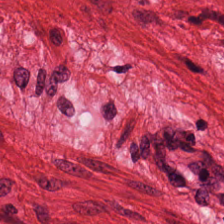H&E stain. Smooth-muscle tissue.
